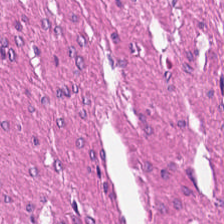Hematoxylin-and-eosin stained section. Predominantly smooth-muscle tissue.
